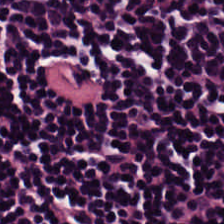Stain: H&E-stained tissue section.
Tile size: 224×224 px patch.
Resolution: 0.5 µm per pixel.
Tissue: lymphocytes.
